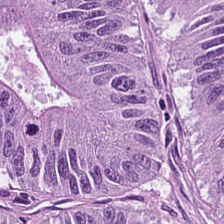H&E stain — This field is colorectal adenocarcinoma epithelium.
